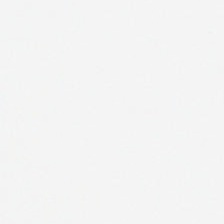0.5 µm/px. 224×224 pixel tile. H&E.
Finding → background.
